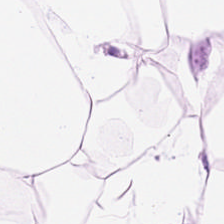Hematoxylin and eosin.
This field is adipocytes.
